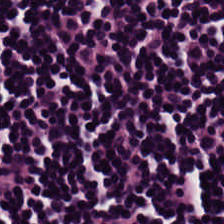Stain: hematoxylin-and-eosin stained section.
Tissue: lymphocytes.
